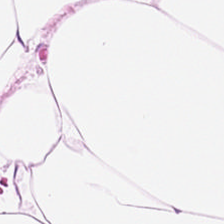H&E-stained tissue section — Q: Classify this patch.
A: Adipose tissue.
